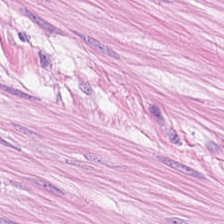Hematoxylin-and-eosin stained section. Predominant tissue = muscularis.
